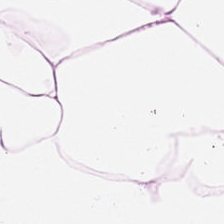{"tissue_type": "fat tissue"}
